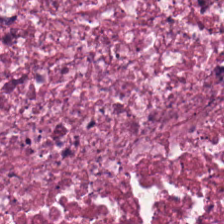Stain: H&E-stained tissue section.
Tile size: 224×224 px patch.
Acquisition: brightfield.
Classification: debris.
